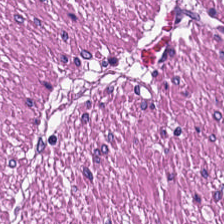Hematoxylin-and-eosin stained section · 20× equivalent magnification.
This field is smooth muscle.
